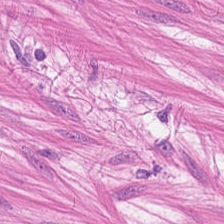H&E stain. Q: What is shown in this field?
A: The field shows smooth muscle.
